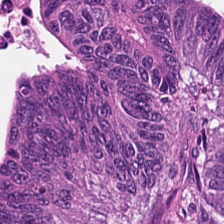H&E stain. The predominant tissue is colorectal adenocarcinoma epithelium.
